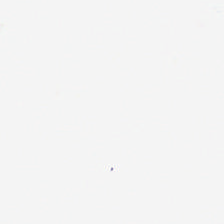Hematoxylin and eosin — No tissue present; background only.
